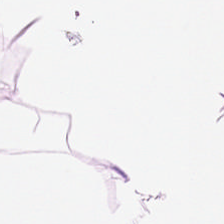Hematoxylin-and-eosin stained section. 0.5 µm per pixel. The tissue type is adipose.
